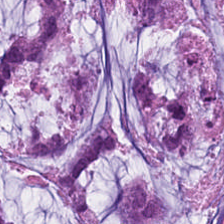Whole-slide-image patch; formalin-fixed paraffin-embedded section; H&E stain. Tissue type = mucin.
